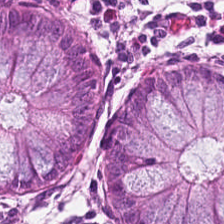WSI patch · H&E stain.
Normal colonic mucosa.
